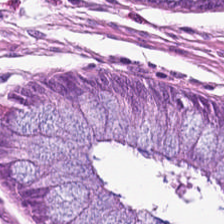Hematoxylin-and-eosin stained section. FFPE tissue section.
The predominant tissue is normal colon mucosa.
